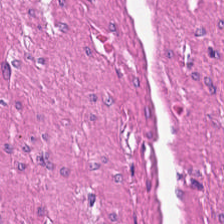H&E. Predominant tissue — smooth-muscle tissue.
